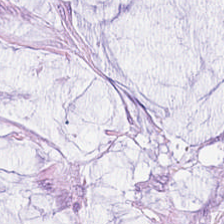H&E. FFPE tissue section. Q: What is shown in this field?
A: This is extracellular mucin.
